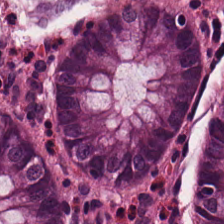Stain: hematoxylin-and-eosin stained section.
Tile size: 224×224 pixel tile.
Tissue type: normal colonic mucosa.
